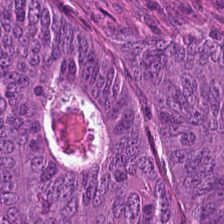H&E-stained tissue section. Tissue class — malignant epithelium.
